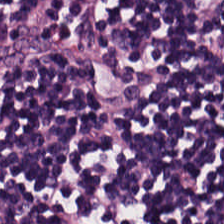Hematoxylin and eosin.
This patch shows lymphocyte aggregate.
